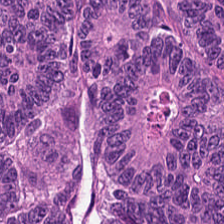H&E stain; 224×224 pixel tile; 0.5 µm/px — Tumor epithelium.
